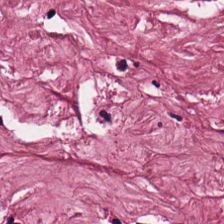H&E — Predominant tissue = tumor-associated stroma.
